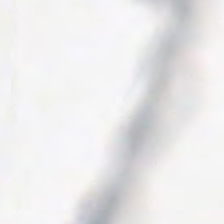H&E-stained tissue section. Classification = background.
